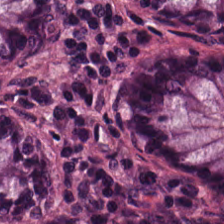Histology — normal colon mucosa.
